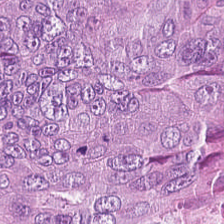WSI patch. H&E — This patch shows colorectal adenocarcinoma.
